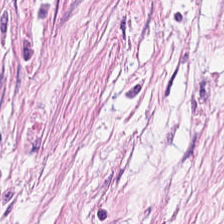H&E — desmoplastic stroma.
